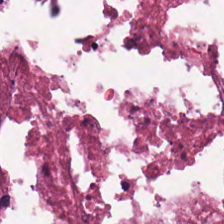Hematoxylin and eosin.
The tissue class is necrotic debris.
